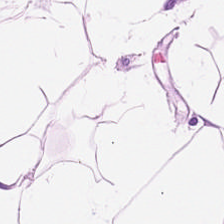Histology — adipocytes.
